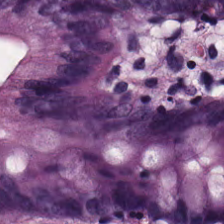224×224 px patch · FFPE · H&E stain.
Tissue class = normal colon mucosa.
